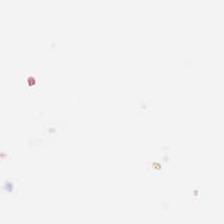224×224 pixel tile; H&E — No tissue present; background only.
